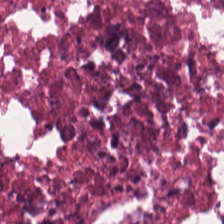224×224 px tile; hematoxylin-and-eosin stained section. The classification is necrotic debris.
